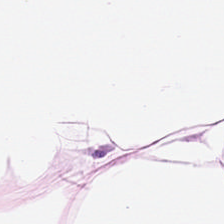0.5 microns per pixel. Hematoxylin and eosin — The tissue here is adipose.
